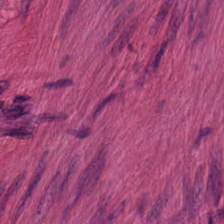224×224 px tile; FFPE; H&E-stained tissue section.
The classification is smooth muscle.
